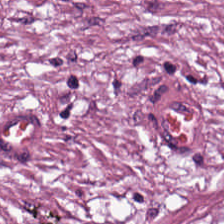Hematoxylin and eosin. Q: What is the predominant tissue type?
A: This is tumor-associated stroma.
